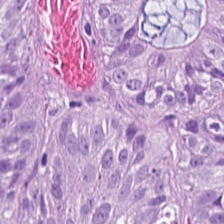H&E-stained tissue section. 224×224 pixel tile.
Q: Classify this patch.
A: Tumor epithelium.
